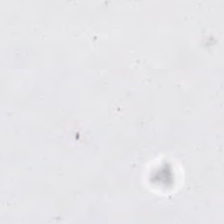H&E-stained tissue section. Formalin-fixed paraffin-embedded section — {"content": "no tissue"}
